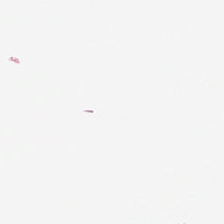Content: background (no tissue).
